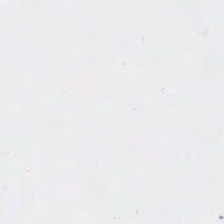Stain: H&E-stained tissue section.
Content: background.
